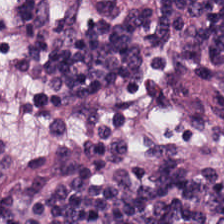Stain: H&E-stained tissue section.
Tile size: 224×224 px tile.
Preparation: FFPE.
Classification: lymphoid infiltrate.
